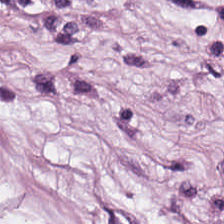Hematoxylin and eosin · 224×224 px tile — Classification = adipose.
